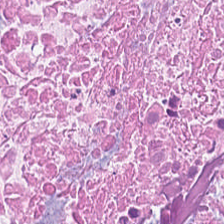Q: What does this patch show?
A: It is cellular debris.
